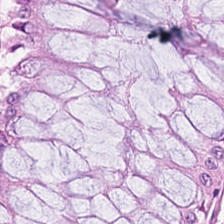H&E-stained tissue section showing benign colonic mucosa.
